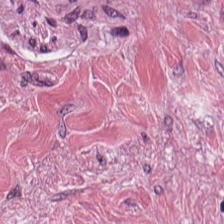H&E stain.
Tumor-associated stroma.
